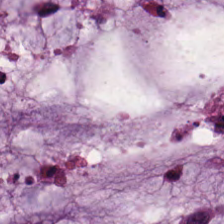This patch shows mucin.
